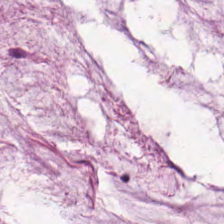H&E.
Q: What is shown here?
A: The field shows extracellular mucin.
